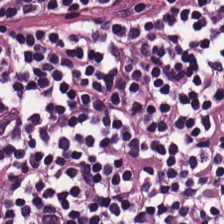H&E. 20× equivalent magnification — Impression → lymphocytic infiltrate.
